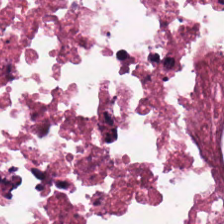Hematoxylin-and-eosin stained section — Debris.
